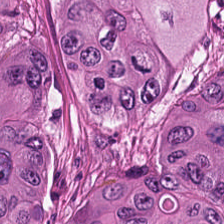224×224 px patch. 0.5 µm/px. H&E-stained tissue section. Tissue class — tumor epithelium.
